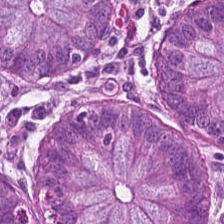Stain: hematoxylin and eosin.
Preparation: FFPE.
Tissue class: normal colon mucosa.
